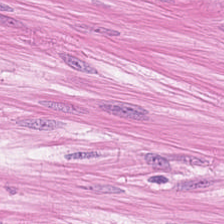H&E stain. FFPE — Classification — smooth muscle.
